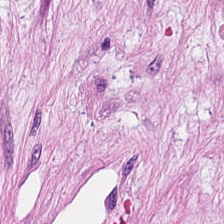Finding → cancer-associated stroma.
